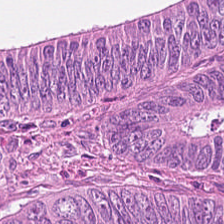Predominant tissue = colorectal adenocarcinoma.
